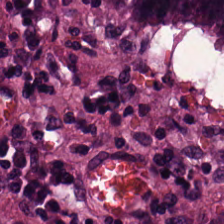Stain: H&E.
Tile size: 224×224 px tile.
Classification: colorectal adenocarcinoma epithelium.
